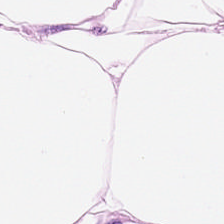Histology → adipocytes.
